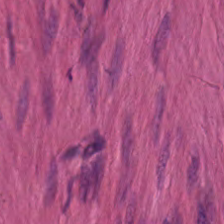H&E-stained tissue section.
Q: What type of tissue is this?
A: Muscularis.
